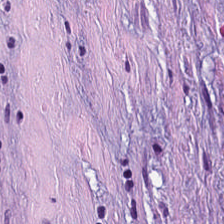0.5 µm/px · hematoxylin and eosin. The predominant tissue is desmoplastic stroma.
